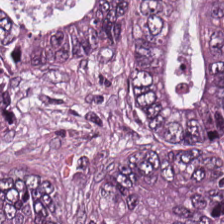H&E-stained tissue section — Finding → colorectal adenocarcinoma.
